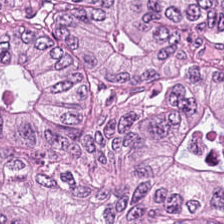Impression — colorectal adenocarcinoma epithelium.
